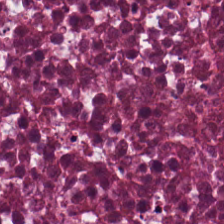H&E-stained tissue section.
The predominant tissue is cellular debris.
